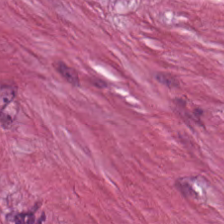0.5 microns per pixel · H&E stain.
Tissue class: desmoplastic stroma.
